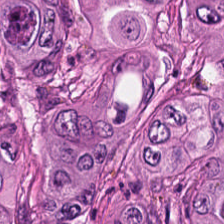Classification: tumor epithelium.
